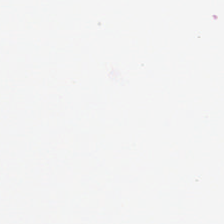224×224 px patch · hematoxylin and eosin · 20× equivalent magnification. No tissue present; background only.
